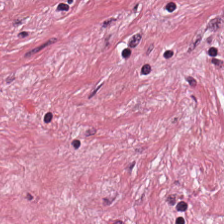Hematoxylin and eosin · formalin-fixed paraffin-embedded section.
Histology → tumor-associated stroma.
